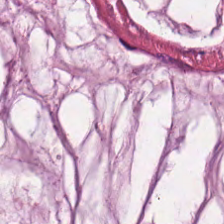H&E stain.
Impression — mucus.
